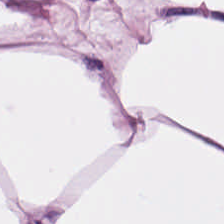H&E. 224×224 px tile. Classification: adipose.
